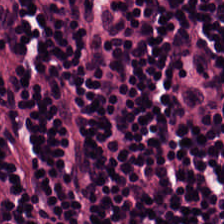Hematoxylin-and-eosin stained section.
Showing lymphocytes.
